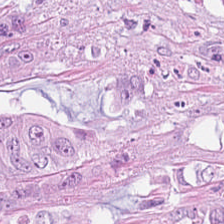FFPE tissue section; H&E stain.
Q: What is the predominant tissue type?
A: It is tumor epithelium.
